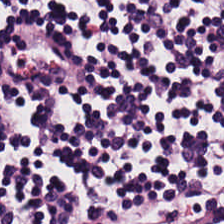H&E stain.
Lymphoid infiltrate.
